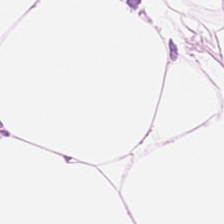Hematoxylin and eosin · 20× equivalent magnification — Histology → adipose tissue.
